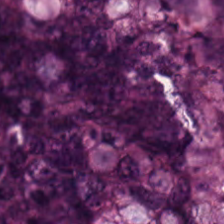H&E-stained tissue section; 0.5 µm/px.
This field is colorectal adenocarcinoma.
